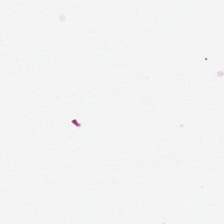Hematoxylin and eosin. No tissue present; background only.
